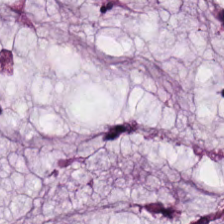H&E patch showing mucus.
